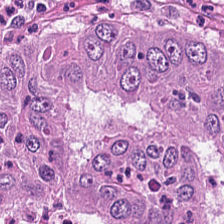0.5 microns per pixel · H&E stain · 224×224 px patch — The tissue here is colorectal adenocarcinoma epithelium.
